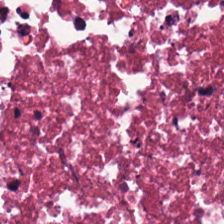Tissue type = debris.
